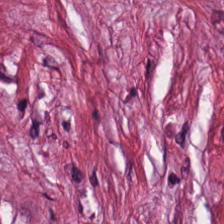H&E. Q: What is shown here?
A: This is desmoplastic stroma.
